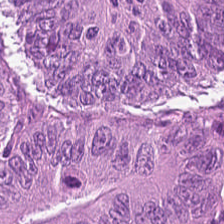Hematoxylin-and-eosin stained section.
Impression — tumor epithelium.
